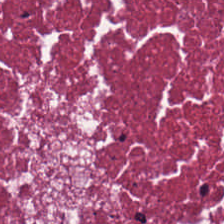WSI patch; H&E-stained tissue section.
Predominantly debris.
